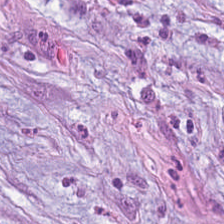Hematoxylin and eosin; whole-slide-image patch. {"tissue_type": "tumor stroma"}
